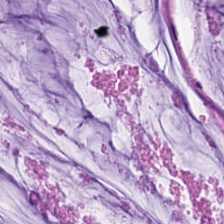H&E stain.
Showing extracellular mucin.
